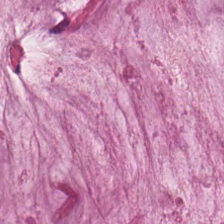Hematoxylin and eosin — Predominant tissue: mucus.
